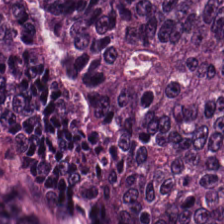0.5 µm/px; H&E stain. This patch shows colorectal adenocarcinoma.
